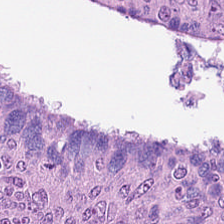The predominant tissue is colorectal adenocarcinoma.
